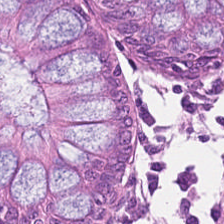Hematoxylin-and-eosin stained section; FFPE tissue section; 0.5 microns per pixel. Q: What does this patch show?
A: It is normal colonic mucosa.
